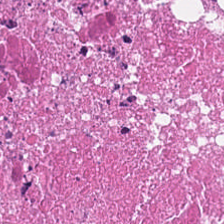The tissue here is cellular debris.
